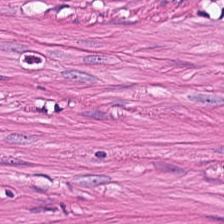Hematoxylin-and-eosin stained section. Tissue class = muscularis.
